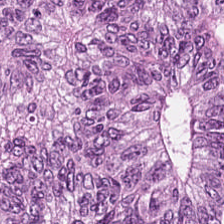Adenocarcinoma.
